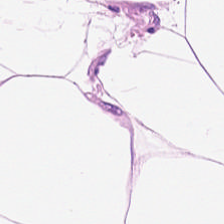H&E stain.
This field is adipose tissue.
